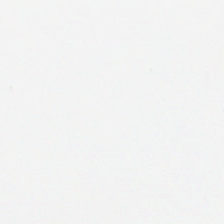Stain: hematoxylin-and-eosin stained section.
Classification: no tissue.
